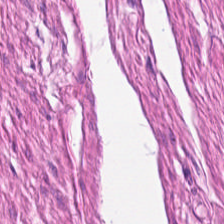Hematoxylin and eosin; 0.5 µm per pixel. Finding — muscularis.
